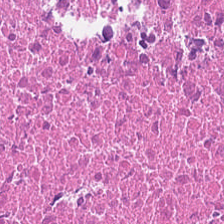224×224 pixel tile · H&E · whole-slide-image patch — Cellular debris.
